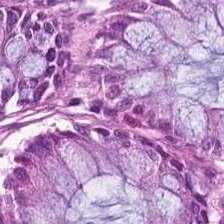H&E-stained tissue section; 0.5 µm per pixel; 224×224 px patch.
Tissue: benign colonic mucosa.
